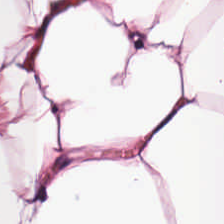H&E-stained tissue section.
Showing adipose.
